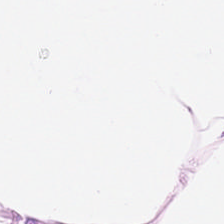Formalin-fixed paraffin-embedded section. 224×224 px patch. H&E — Histology → adipocytes.
